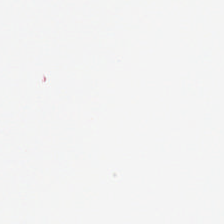0.5 µm per pixel · H&E-stained tissue section.
Content = no tissue.
